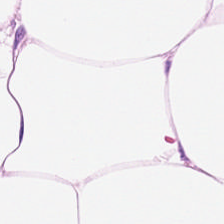Tissue type = adipocytes.
